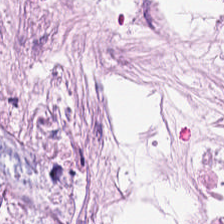H&E stain — The tissue here is tumor stroma.
